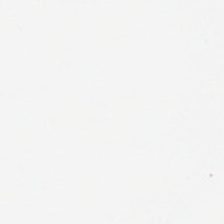224×224 px patch · hematoxylin and eosin.
Background.
